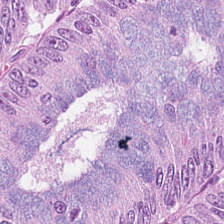Showing tumor epithelium.
